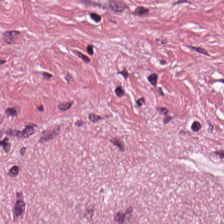Stain: hematoxylin-and-eosin stained section.
Tissue type: tumor-associated stroma.
